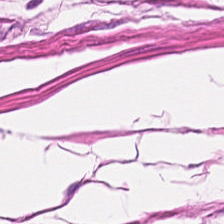Hematoxylin and eosin.
Tissue = smooth muscle.
